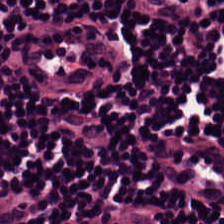H&E stain.
Predominantly lymphocytic infiltrate.
